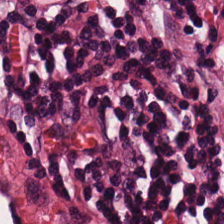H&E. Finding → tumor-associated stroma.
